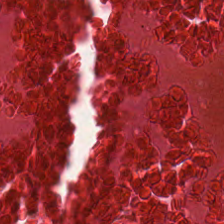Showing necrotic debris.
